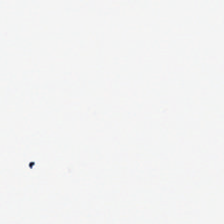Stain: H&E-stained tissue section.
Content: empty background.
